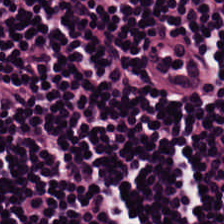Brightfield. Hematoxylin and eosin. 0.5 µm per pixel — Predominantly lymphocytes.
